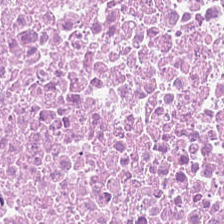H&E; 224×224 pixel tile.
Cellular debris.
